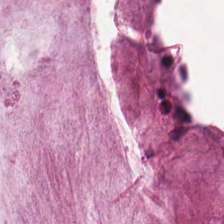Stain: H&E.
Classification: extracellular mucin.
